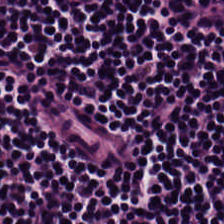This patch shows lymphoid infiltrate.
